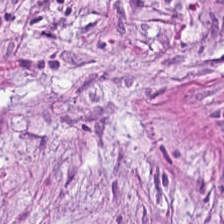H&E stain · 224×224 px tile.
The predominant tissue is tumor-associated stroma.
